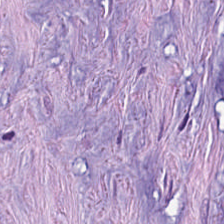Impression — cancer-associated stroma.
